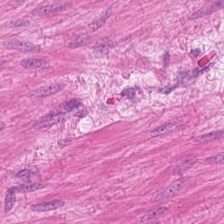Hematoxylin-and-eosin section: smooth muscle.
